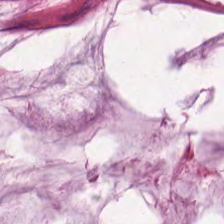H&E-stained tissue section; brightfield; FFPE tissue section. Q: What tissue type is shown here?
A: This is extracellular mucin.
